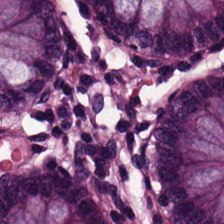224×224 px patch · FFPE tissue section · H&E-stained tissue section.
Q: What tissue type is shown here?
A: The field shows benign colonic mucosa.
